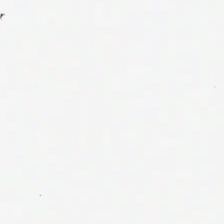0.5 µm per pixel; H&E stain; 224×224 px tile.
Classification: empty background.
